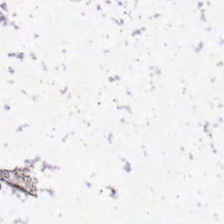224×224 px tile; H&E-stained tissue section; 20× equivalent magnification.
Histology — background.
